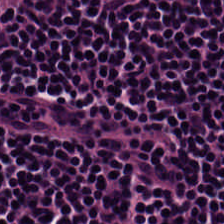Stain: H&E.
Acquisition: whole-slide-image patch.
Tissue type: lymphocytic infiltrate.
